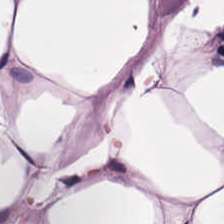This patch shows adipose.
